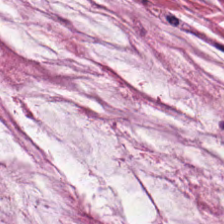H&E stain.
Q: What tissue type is shown here?
A: The field shows mucus.
